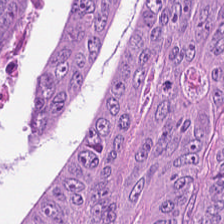Tissue class: adenocarcinoma.
